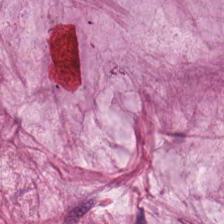This patch shows mucin.
